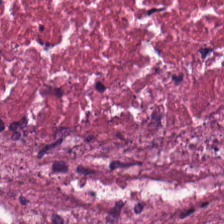Hematoxylin-and-eosin stained section; 20× equivalent magnification; 224×224 px patch. Classification = necrotic debris.
